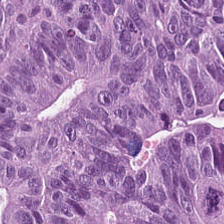Stain: hematoxylin and eosin.
Tile size: 224×224 px patch.
Resolution: 0.5 µm per pixel.
Tissue class: malignant epithelium.
